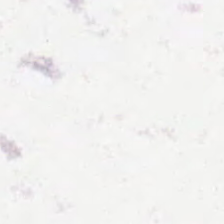H&E. Empty field — background.
